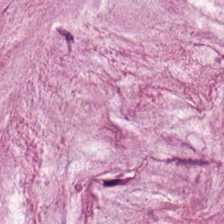Brightfield microscopy. H&E-stained tissue section.
This field is mucus.
